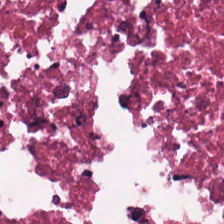H&E-stained tissue section — Predominantly debris.
